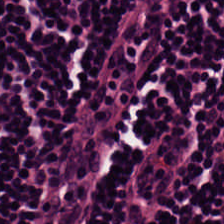224×224 pixel tile; hematoxylin and eosin.
Lymphocyte aggregate.
